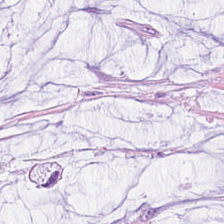0.5 microns per pixel; H&E-stained tissue section. This field is mucin.
